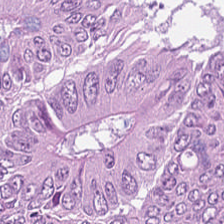H&E stain; FFPE tissue section — Histology → adenocarcinoma.
